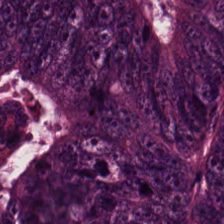This field is colorectal adenocarcinoma.
